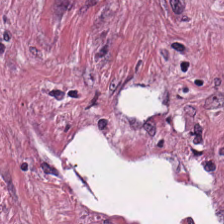The tissue here is tumor stroma.
